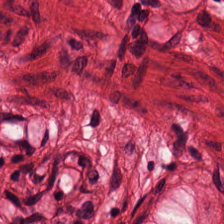Stain: H&E.
Preparation: FFPE.
Predominant tissue: muscularis.
